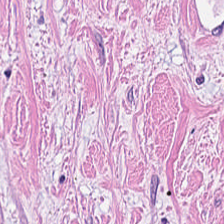FFPE tissue section. 0.5 µm/px. H&E stain — Q: What tissue type is shown here?
A: This is tumor stroma.
